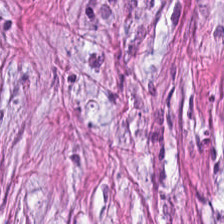Brightfield · hematoxylin and eosin — Classification — cancer-associated stroma.
